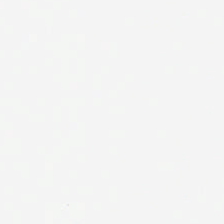Hematoxylin-and-eosin stained section; 224×224 px tile; 20× equivalent magnification. This field is background (no tissue).
